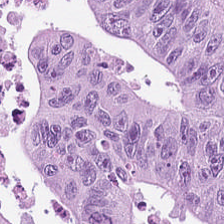Histology — colorectal adenocarcinoma.
